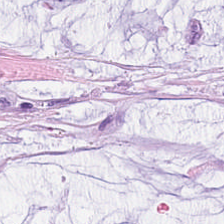Hematoxylin-and-eosin stained section — Q: What is shown here?
A: Mucus.
